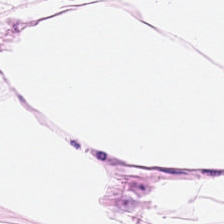Hematoxylin and eosin. Brightfield microscopy. Impression → adipose tissue.
